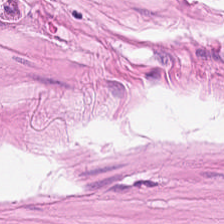Stain: H&E.
Predominant tissue: smooth-muscle tissue.
